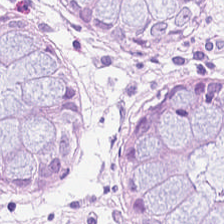FFPE; hematoxylin-and-eosin stained section. The predominant tissue is normal colon mucosa.
